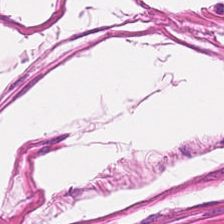H&E-stained tissue section. WSI patch — The tissue type is muscularis.
